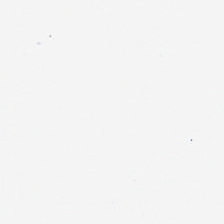H&E-stained tissue section.
Impression → empty background.
